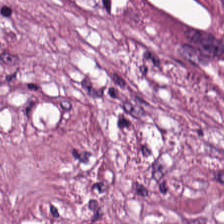FFPE · hematoxylin and eosin.
Tissue — cancer-associated stroma.
